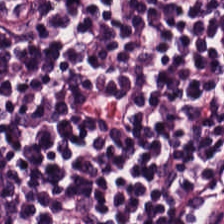Hematoxylin-and-eosin stained section. Lymphocytic infiltrate.
